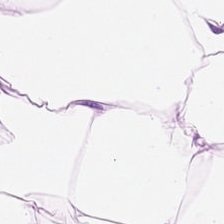H&E-stained tissue section; brightfield.
Tissue = adipose.
